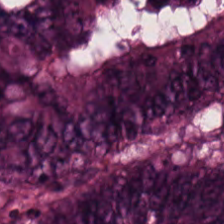Q: What tissue type is shown here?
A: Malignant epithelium.
